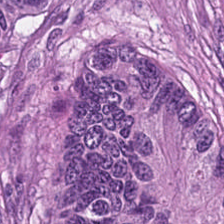Formalin-fixed paraffin-embedded section · H&E.
Predominantly tumor epithelium.
